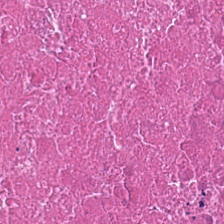Impression — necrotic debris.
